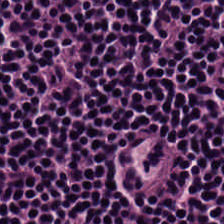Stain: H&E.
Tile size: 224×224 px tile.
Tissue: lymphoid infiltrate.
